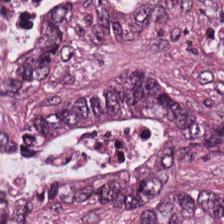H&E-stained tissue section — The classification is adenocarcinoma.
